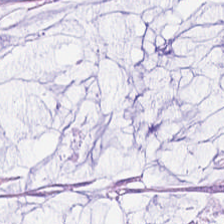H&E-stained tissue section. 0.5 µm/px. Whole-slide-image patch. Predominantly mucus.
